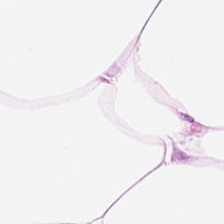Hematoxylin-and-eosin stained section — The tissue type is adipose tissue.
